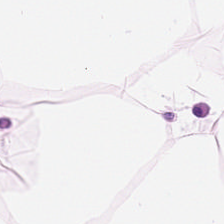H&E — Predominant tissue: fat tissue.
